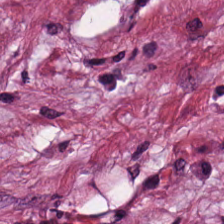WSI patch · 0.5 microns per pixel · hematoxylin-and-eosin stained section — Cancer-associated stroma.
